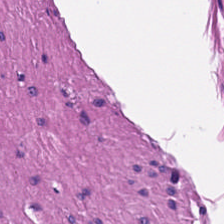224×224 px patch · formalin-fixed paraffin-embedded section · hematoxylin-and-eosin stained section. Tissue type: smooth-muscle tissue.
